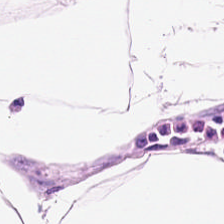Hematoxylin-and-eosin stained section — Q: What is shown in this field?
A: The field shows adipocytes.
